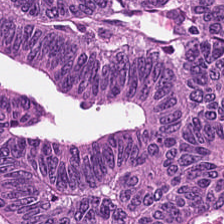224×224 px patch. H&E-stained tissue section. FFPE.
The tissue is adenocarcinoma.
